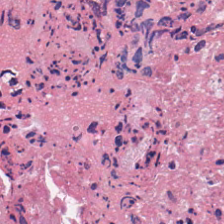Showing cellular debris.
